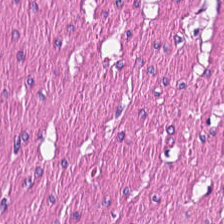Hematoxylin-and-eosin stained section; 224×224 pixel tile; brightfield. The predominant tissue is smooth-muscle tissue.
